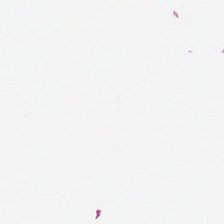Hematoxylin and eosin.
Classification = empty background.
